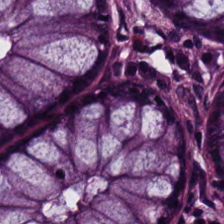H&E stain; 224×224 pixel tile.
Tissue: normal colonic mucosa.
